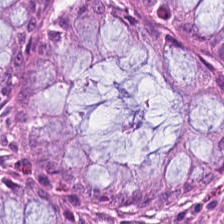Tissue class — normal colonic mucosa.
